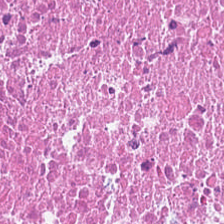FFPE tissue section. Hematoxylin-and-eosin stained section — Impression — debris.
